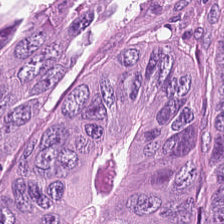Hematoxylin-and-eosin stained section.
Q: What does this patch show?
A: It is malignant epithelium.
